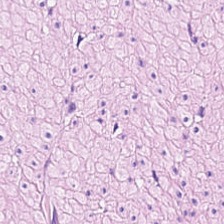Hematoxylin and eosin.
Classification — smooth muscle.
